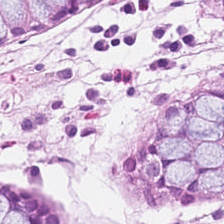224×224 pixel tile. Hematoxylin-and-eosin stained section. Histology → normal colonic mucosa.
